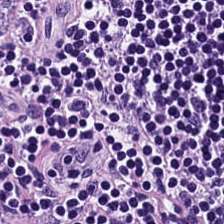H&E stain. Q: What is shown in this field?
A: This is lymphocytic infiltrate.
